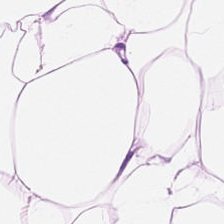H&E-stained tissue section showing adipocytes.
